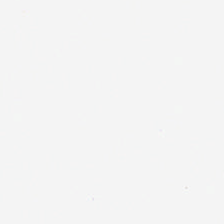H&E. This field is background (no tissue).
